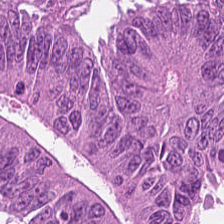WSI patch. H&E-stained tissue section. 0.5 µm/px.
This patch shows tumor epithelium.
